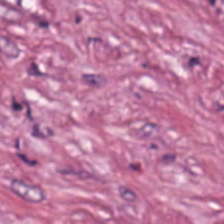224×224 px patch; WSI patch; hematoxylin-and-eosin stained section.
Histology → desmoplastic stroma.
